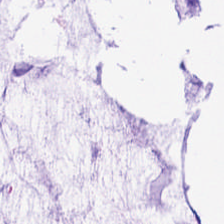Hematoxylin-and-eosin stained section. Histology → extracellular mucin.
